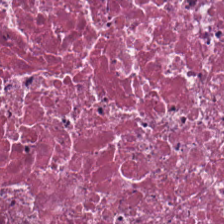H&E stain · whole-slide-image patch.
Debris.
